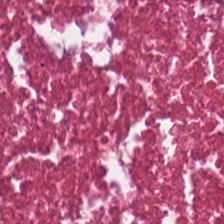Stain: H&E.
Predominant tissue: necrotic debris.
